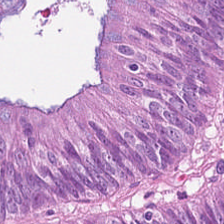224×224 px tile; brightfield; H&E.
Predominant tissue = colorectal adenocarcinoma.
